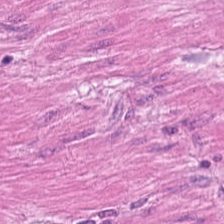H&E-stained tissue section.
The tissue here is smooth muscle.
